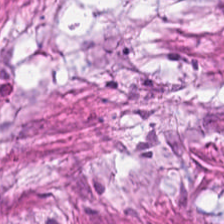224×224 px tile; hematoxylin-and-eosin stained section; 0.5 microns per pixel. Tissue type — tumor stroma.
